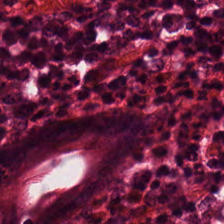H&E-stained tissue section — The tissue here is normal colon mucosa.
